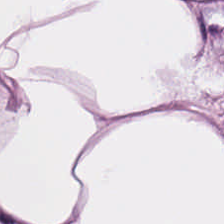Stain: H&E-stained tissue section.
Tissue class: adipocytes.
